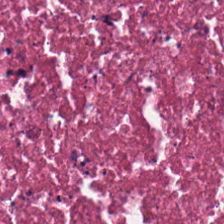Hematoxylin-and-eosin stained section; whole-slide-image patch; 0.5 µm per pixel.
The predominant tissue is necrotic debris.
